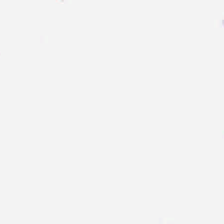Whole-slide-image patch. 224×224 px tile. Hematoxylin-and-eosin stained section — Background — no tissue in this field.
